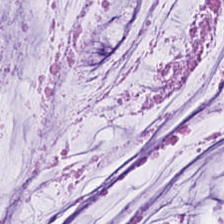Stain: H&E stain.
Predominant tissue: mucus.
